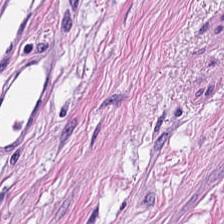{"tissue_type": "smooth-muscle tissue"}
